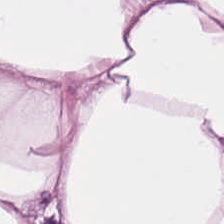H&E stain. 224×224 px patch.
Tissue class: adipose tissue.
